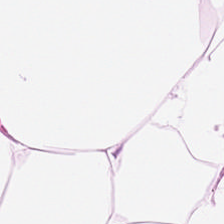Stain: H&E stain.
Tissue: adipocytes.
